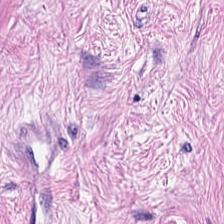H&E stain.
The tissue here is tumor stroma.
